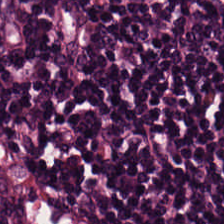H&E stain. The tissue here is lymphocyte aggregate.
